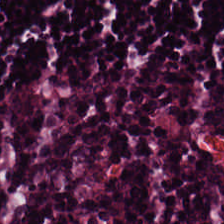Stain: H&E stain.
Tissue: lymphocytes.
